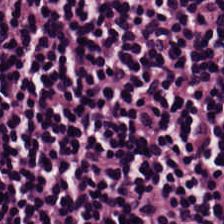Hematoxylin and eosin. Brightfield. Classification — lymphocyte aggregate.
